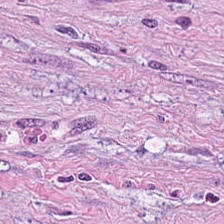Tissue type — tumor stroma.
